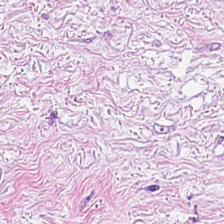Q: What is the predominant tissue type?
A: This is tumor-associated stroma.
